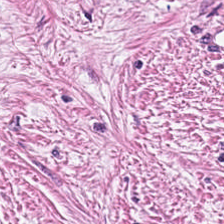H&E-stained tissue section. This field is tumor-associated stroma.
